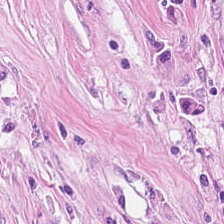This patch shows tumor-associated stroma.
